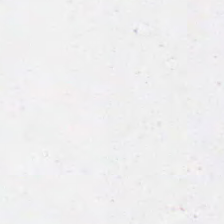Hematoxylin-and-eosin stained section.
Q: What is shown here?
A: The field shows no tissue.
